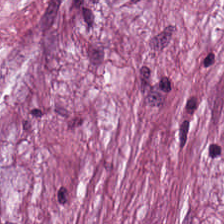H&E · 224×224 px tile.
Tissue = cancer-associated stroma.
